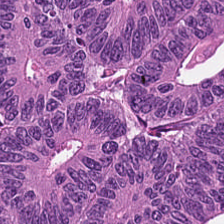224×224 px patch · H&E-stained tissue section · FFPE tissue section. The tissue type is colorectal adenocarcinoma.
